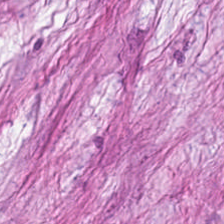Stain: H&E-stained tissue section.
Tissue type: desmoplastic stroma.
